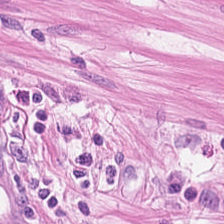Hematoxylin and eosin — Finding → smooth muscle.
